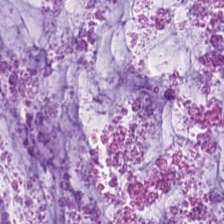H&E stain — Finding → extracellular mucin.
